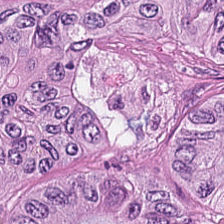Stain: hematoxylin and eosin.
Tile size: 224×224 px tile.
Predominant tissue: adenocarcinoma.
